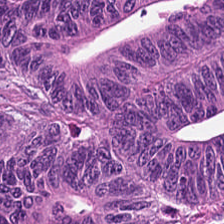H&E — malignant epithelium.
